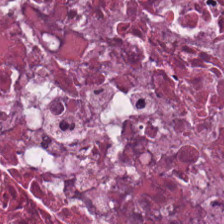Hematoxylin-and-eosin stained section. 224×224 px tile. This patch shows necrotic debris.
